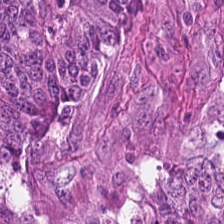0.5 µm per pixel · H&E-stained tissue section.
Tissue class: colorectal adenocarcinoma.
